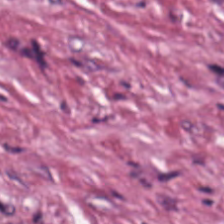Cancer-associated stroma.
